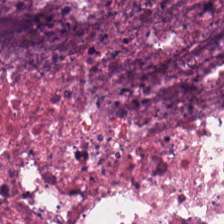H&E · FFPE tissue section · 0.5 µm per pixel — This patch shows cellular debris.
